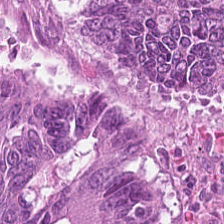H&E. {"tissue_type": "colorectal adenocarcinoma epithelium"}
